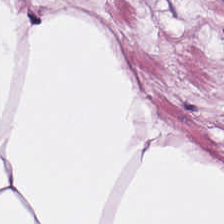Stain: hematoxylin-and-eosin stained section.
Tissue: fat tissue.
